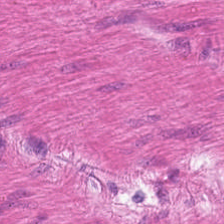Predominantly smooth muscle.
